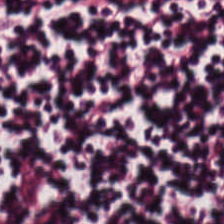Stain: H&E-stained tissue section.
Tissue class: lymphocytic infiltrate.
